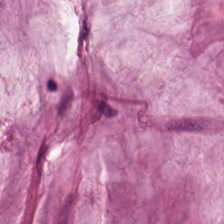Hematoxylin-and-eosin stained section.
Q: Classify this patch.
A: It is mucus.
